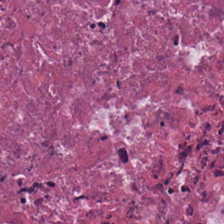H&E · brightfield · 0.5 µm/px.
This field is cellular debris.
